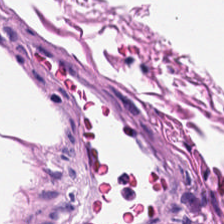H&E-stained tissue section — Showing smooth-muscle tissue.
